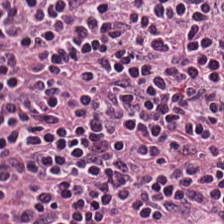0.5 µm/px · hematoxylin-and-eosin stained section · FFPE tissue section.
This patch shows lymphocytes.
